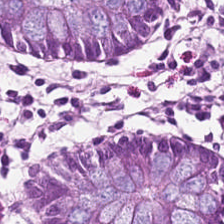H&E — Tissue class — normal colonic mucosa.
